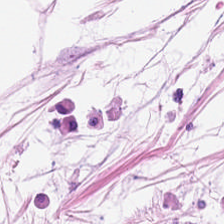20× equivalent magnification · hematoxylin and eosin.
Showing adipocytes.
